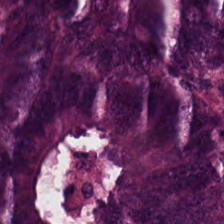Hematoxylin-and-eosin stained section.
The tissue here is malignant epithelium.
